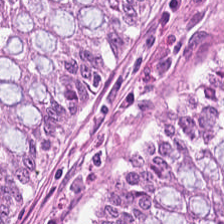H&E patch showing benign colonic mucosa.
